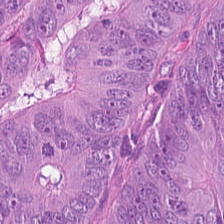The tissue type is tumor epithelium.
